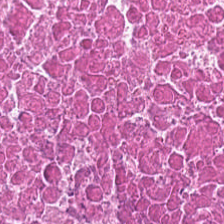Stain: H&E.
Tissue: necrotic debris.
